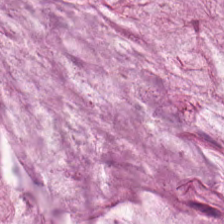0.5 µm per pixel. H&E stain. Brightfield microscopy.
Histology → mucus.
